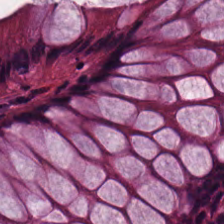H&E — benign colonic mucosa.
